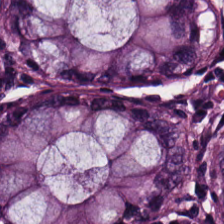H&E-stained tissue section.
Q: What type of tissue is this?
A: It is normal colon mucosa.
